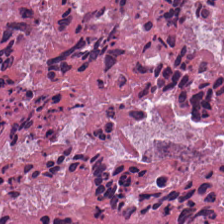H&E stain. This patch shows cellular debris.
